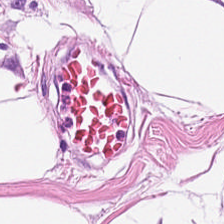0.5 µm/px; 224×224 pixel tile; H&E.
Q: What tissue type is shown here?
A: Adipose.
